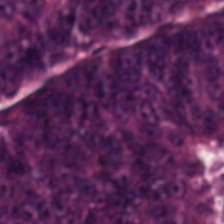Hematoxylin-and-eosin stained section.
Classification = malignant epithelium.
